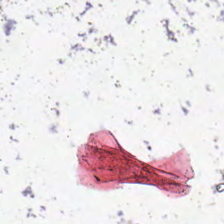Stain: H&E stain.
Field content: empty background.
